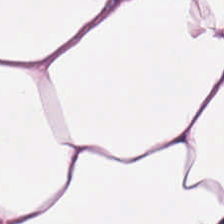224×224 pixel tile; hematoxylin-and-eosin stained section; brightfield.
This patch shows adipocytes.
